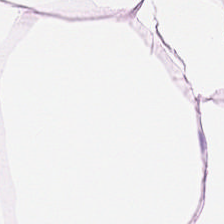Stain: hematoxylin and eosin.
Tissue type: adipose tissue.
